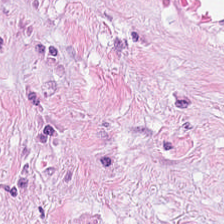H&E — tumor-associated stroma.
